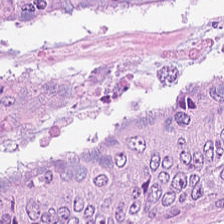Predominantly tumor epithelium.
